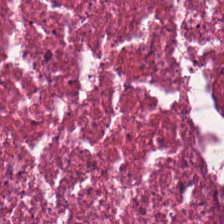WSI patch. H&E. Impression → necrotic debris.
